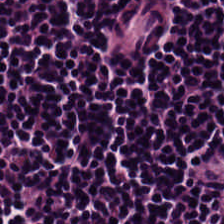FFPE · 0.5 µm/px · hematoxylin-and-eosin stained section. Tissue class = lymphoid infiltrate.
